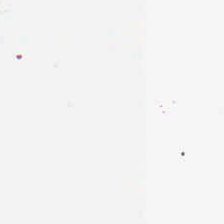Background.
